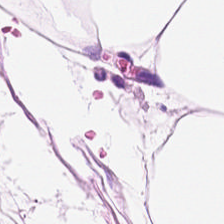Hematoxylin-and-eosin stained section.
Showing adipose tissue.
